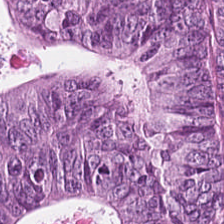Formalin-fixed paraffin-embedded section · H&E stain. This field is colorectal adenocarcinoma epithelium.
